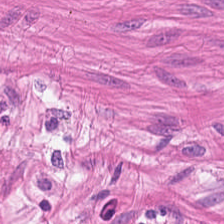Finding — smooth muscle.
